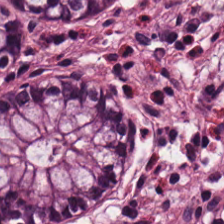Stain: H&E-stained tissue section.
Tissue type: non-neoplastic colon mucosa.
